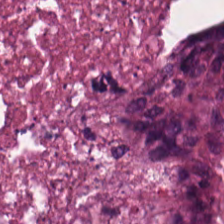H&E — cellular debris.
